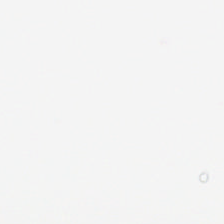H&E.
This patch shows empty background.
